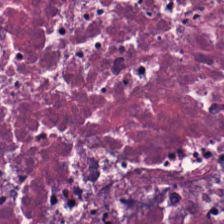H&E-stained tissue section. The tissue here is debris.
